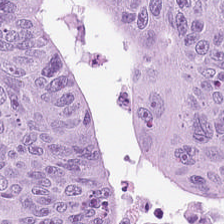H&E stain; brightfield microscopy.
Tissue type — tumor epithelium.
